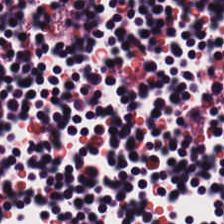The tissue class is lymphoid infiltrate.
